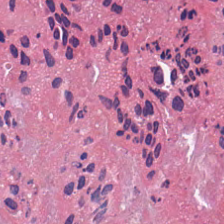Hematoxylin and eosin. The tissue type is debris.
